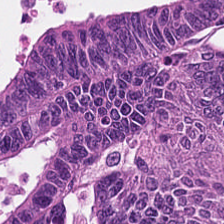0.5 µm per pixel. Brightfield microscopy. H&E stain — This field is tumor epithelium.
